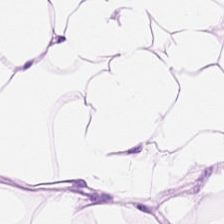224×224 px patch. H&E-stained tissue section. 0.5 µm per pixel. Finding → adipocytes.
